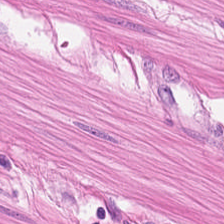Whole-slide-image patch. Hematoxylin-and-eosin stained section.
Finding — smooth muscle.
